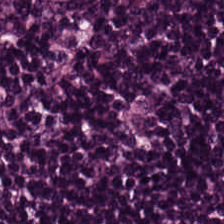Q: What does this patch show?
A: It is lymphocytic infiltrate.
